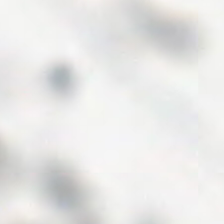H&E-stained tissue section; 20× equivalent magnification. Q: What does this patch show?
A: This is background (no tissue).
